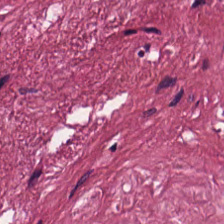0.5 µm/px · H&E-stained tissue section · 224×224 pixel tile. Predominantly desmoplastic stroma.
